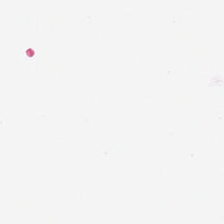H&E stain; brightfield. This patch shows no tissue.
